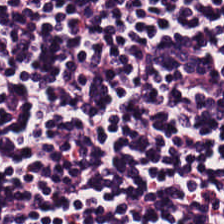H&E-stained tissue section.
Impression → lymphocytic infiltrate.
